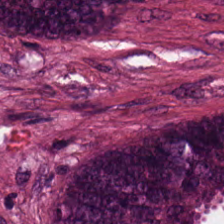0.5 µm per pixel · formalin-fixed paraffin-embedded section · hematoxylin and eosin. Predominantly adenocarcinoma.
